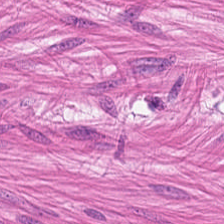Hematoxylin-and-eosin stained section. Brightfield microscopy. Showing muscularis.
